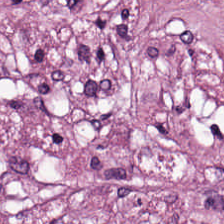Hematoxylin and eosin. 0.5 microns per pixel. FFPE tissue section. Q: Classify this patch.
A: Desmoplastic stroma.
